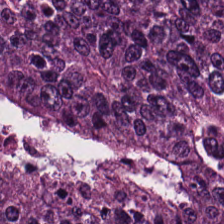224×224 pixel tile. Hematoxylin and eosin.
The tissue here is tumor epithelium.
